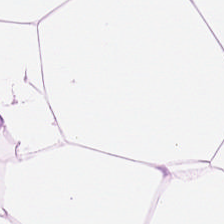Hematoxylin and eosin · 0.5 microns per pixel. Histology — adipocytes.
